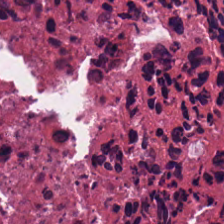H&E stain. 20× equivalent magnification.
Tissue — debris.
